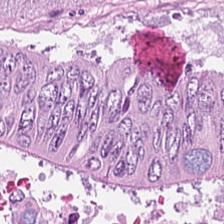The predominant tissue is colorectal adenocarcinoma epithelium.
